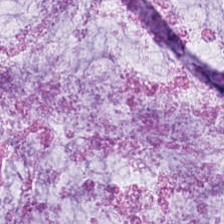Tissue class = mucin.
